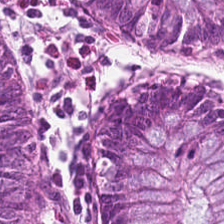Predominant tissue = normal colonic mucosa.
